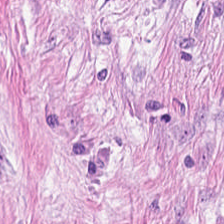H&E-stained tissue section. Q: What does this patch show?
A: It is desmoplastic stroma.
